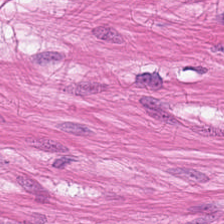H&E.
Smooth muscle.
